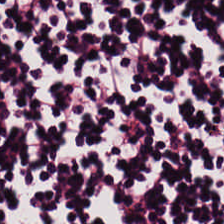Formalin-fixed paraffin-embedded section. H&E. Predominantly lymphoid infiltrate.
